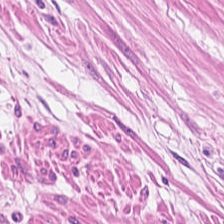224×224 px patch · H&E-stained tissue section. The predominant tissue is smooth muscle.
